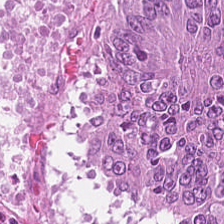H&E stain.
The tissue here is malignant epithelium.
